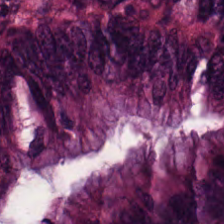FFPE tissue section; H&E stain; 0.5 microns per pixel.
Impression → colorectal adenocarcinoma.
